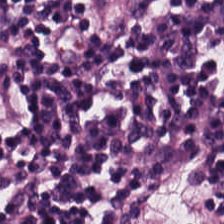Q: What does this patch show?
A: Lymphocyte aggregate.
